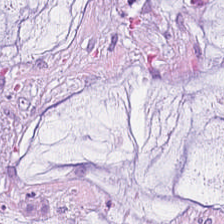FFPE tissue section. H&E stain.
This patch shows mucus.
